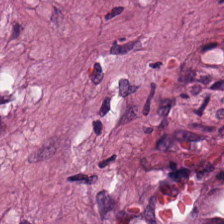0.5 microns per pixel; H&E stain. Q: Classify this patch.
A: It is cancer-associated stroma.
